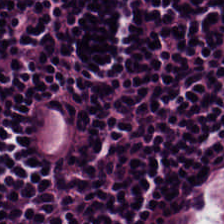Impression → lymphocyte aggregate.
